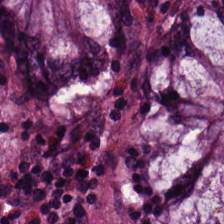Q: What does this patch show?
A: This is non-neoplastic colon mucosa.
